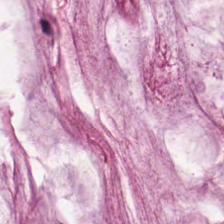H&E stain. This patch shows mucin.
